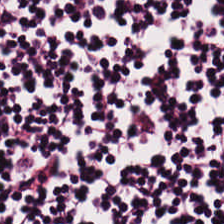Stain: hematoxylin and eosin.
Acquisition: brightfield.
Tissue type: lymphocytes.
